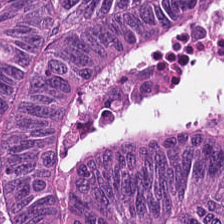Brightfield microscopy · hematoxylin-and-eosin stained section · formalin-fixed paraffin-embedded section. The tissue here is tumor epithelium.
